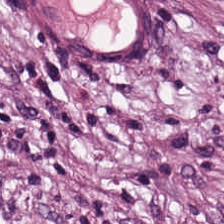Finding → tumor-associated stroma.
